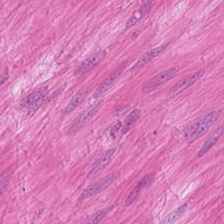0.5 µm/px. Whole-slide-image patch. Hematoxylin-and-eosin stained section.
Showing muscularis.
